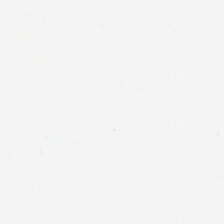Stain: H&E-stained tissue section.
Preparation: FFPE tissue section.
Tile size: 224×224 pixel tile.
Content: no tissue.
